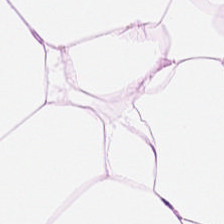Hematoxylin-and-eosin stained section.
Showing adipose tissue.
